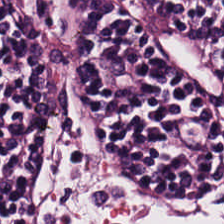H&E-stained tissue section.
Q: What does this patch show?
A: Lymphocytic infiltrate.
